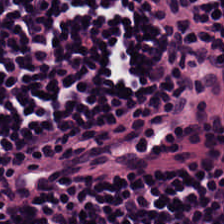Stain: H&E stain.
Tile size: 224×224 px tile.
Preparation: FFPE.
Tissue: lymphocytes.
